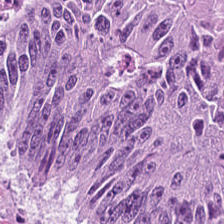H&E-stained tissue section. 224×224 px patch. Showing colorectal adenocarcinoma epithelium.
